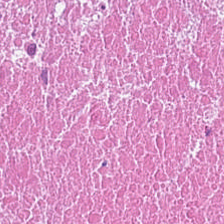Formalin-fixed paraffin-embedded section; H&E-stained tissue section.
Q: What type of tissue is this?
A: Cellular debris.
